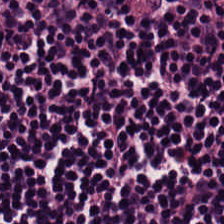H&E; 0.5 µm/px. Q: What type of tissue is this?
A: This is lymphocytes.
